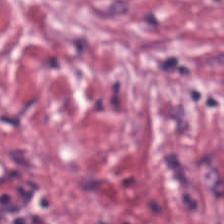Hematoxylin-and-eosin stained section.
The predominant tissue is desmoplastic stroma.
